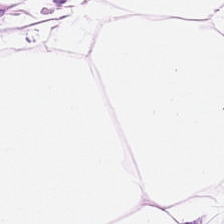Q: What does this patch show?
A: Fat tissue.
